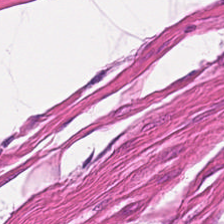Muscularis.
